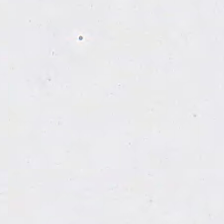Empty field — no tissue.
